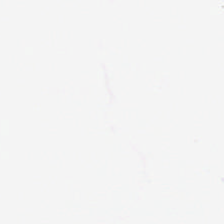Brightfield. Hematoxylin-and-eosin stained section. Histology — background.
